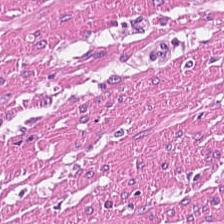H&E; brightfield microscopy.
The predominant tissue is muscularis.
